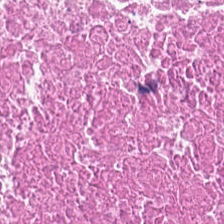H&E — Tissue — cellular debris.
